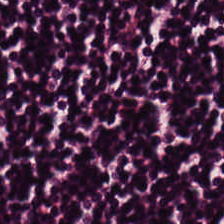Brightfield microscopy · 20× equivalent magnification · H&E-stained tissue section.
Lymphocytes.
